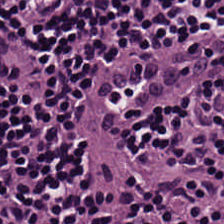Q: What is shown in this field?
A: This is lymphoid infiltrate.
